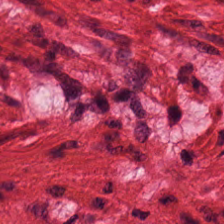Impression — smooth muscle.
